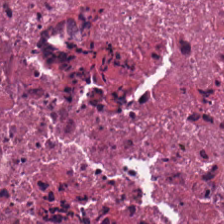20× equivalent magnification. H&E — The predominant tissue is debris.
